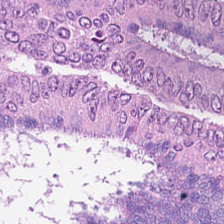0.5 microns per pixel; hematoxylin and eosin.
Tissue class — adenocarcinoma.
